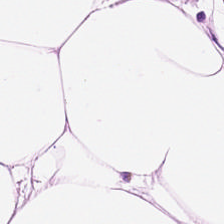H&E-stained tissue section · brightfield · 0.5 µm per pixel. Tissue class — adipose tissue.
